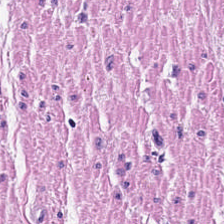FFPE tissue section · H&E-stained tissue section.
Q: Identify the tissue.
A: Smooth-muscle tissue.
